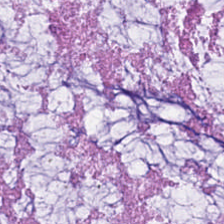H&E — Q: Classify this patch.
A: It is mucus.
